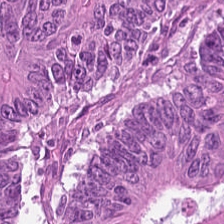{"tissue_type": "tumor epithelium"}
